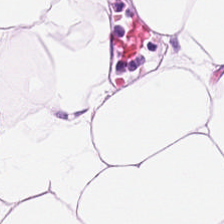{"tissue_type": "adipocytes"}
